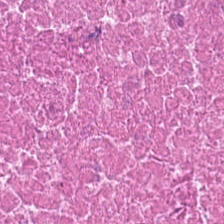H&E-stained tissue section. Tissue class: debris.
